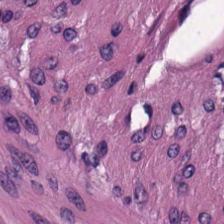This patch shows smooth-muscle tissue.
